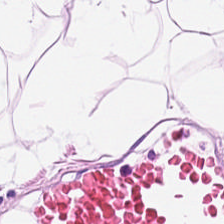Stain: H&E.
Classification: adipose tissue.
